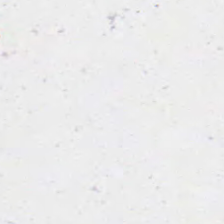H&E-stained tissue section. Q: What is shown in this field?
A: This is no tissue.
